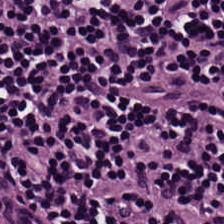Hematoxylin and eosin. Histology — lymphoid infiltrate.
